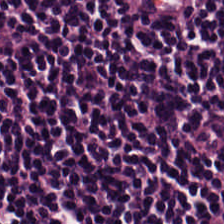Predominantly lymphoid infiltrate.
